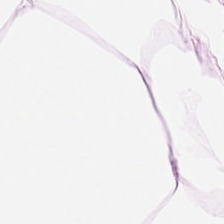Hematoxylin-and-eosin stained section · 224×224 pixel tile.
Tissue type: adipocytes.
